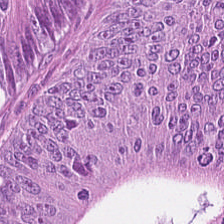Hematoxylin-and-eosin stained section.
Q: What tissue type is shown here?
A: The field shows tumor epithelium.
